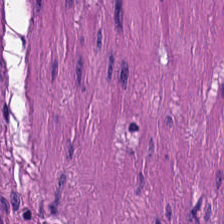Brightfield; hematoxylin and eosin.
The tissue here is muscularis.
